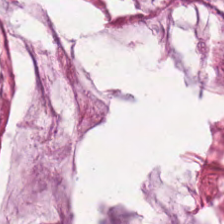Hematoxylin-and-eosin stained section. The tissue class is extracellular mucin.
